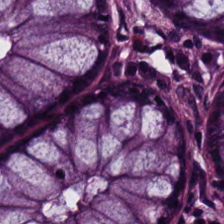Stain: hematoxylin and eosin.
Preparation: formalin-fixed paraffin-embedded section.
Predominant tissue: normal colonic mucosa.
